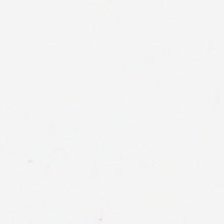H&E. Classification: no tissue.
